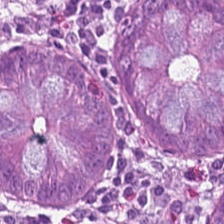H&E · brightfield microscopy · 224×224 px patch.
Finding → normal colonic mucosa.
